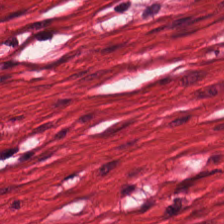Stain: H&E.
Preparation: formalin-fixed paraffin-embedded section.
Predominant tissue: smooth muscle.
